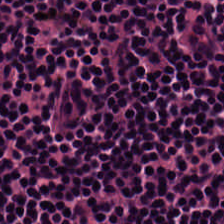Stain: H&E-stained tissue section.
Acquisition: brightfield microscopy.
Classification: lymphocytic infiltrate.
